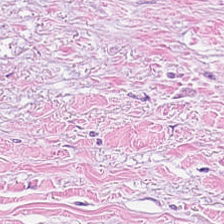Brightfield microscopy · H&E — Tissue: tumor-associated stroma.
